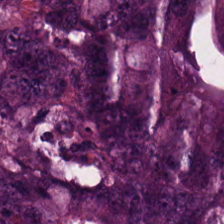{"tissue_type": "malignant epithelium"}
